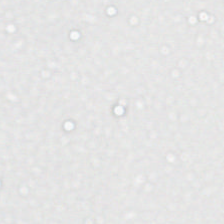Stain: hematoxylin-and-eosin stained section.
Classification: empty background.
